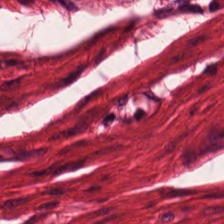Hematoxylin and eosin — Q: What is shown in this field?
A: It is smooth-muscle tissue.
